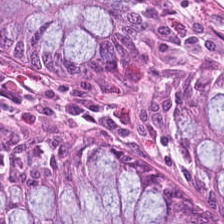Stain: H&E-stained tissue section.
Predominant tissue: normal colon mucosa.
